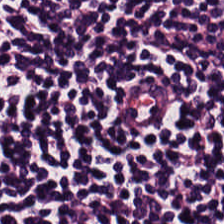Hematoxylin-and-eosin stained section. Classification = lymphocytes.
